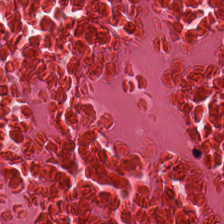H&E. FFPE tissue section.
The predominant tissue is necrotic debris.
